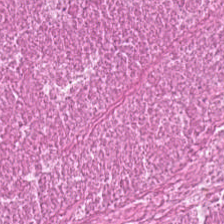H&E stain · 224×224 px tile · 20× equivalent magnification — The tissue here is necrotic debris.
